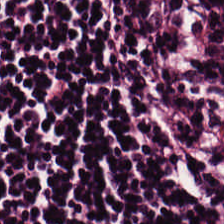Stain: H&E-stained tissue section.
Tile size: 224×224 px tile.
Tissue type: lymphocytes.
